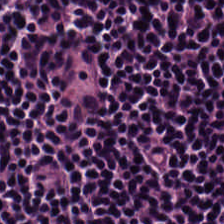224×224 pixel tile; H&E stain — Showing lymphocytes.
